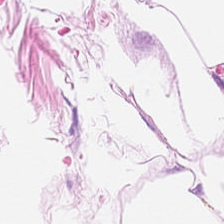H&E.
The tissue is adipose.
